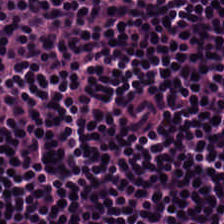Hematoxylin-and-eosin stained section.
The tissue class is lymphocyte aggregate.
